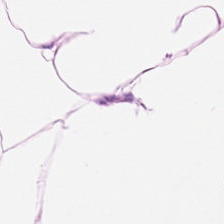FFPE · H&E stain · 0.5 microns per pixel — Q: What type of tissue is this?
A: This is adipose tissue.
